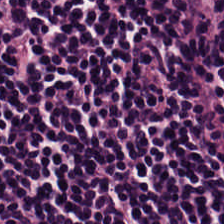H&E stain — Q: Identify the tissue.
A: Lymphoid infiltrate.
